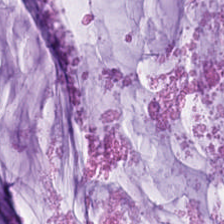H&E-stained section; the field shows mucin.
